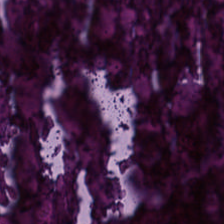Hematoxylin and eosin.
{"tissue_type": "cellular debris"}
